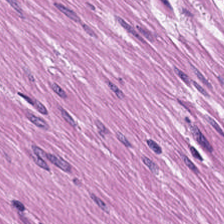Stain: H&E.
Resolution: 0.5 µm/px.
Tissue type: smooth-muscle tissue.
